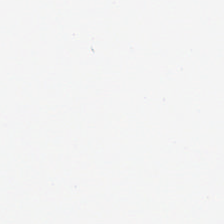Classification — no tissue.
